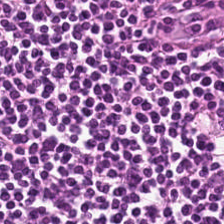Whole-slide-image patch; 0.5 microns per pixel; H&E. Finding → lymphocytic infiltrate.
